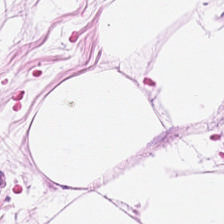Showing fat tissue.
